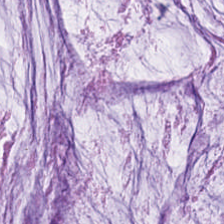Finding — extracellular mucin.
